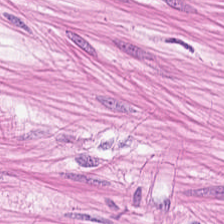Stain: H&E-stained tissue section.
Tissue class: smooth-muscle tissue.
